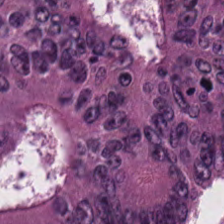Hematoxylin-and-eosin stained section — Q: What is shown in this field?
A: Colorectal adenocarcinoma.
